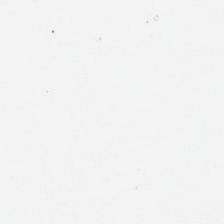Stain: hematoxylin-and-eosin stained section.
Acquisition: brightfield microscopy.
Classification: background (no tissue).
